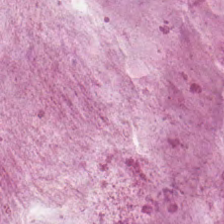Tissue type — mucus.
